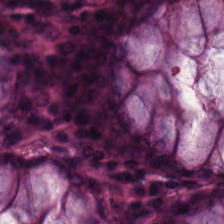H&E stain.
Finding → benign colonic mucosa.
